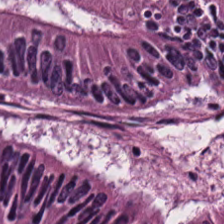The classification is malignant epithelium.
